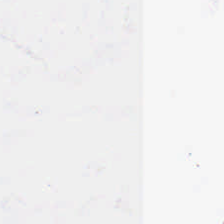H&E stain.
No tissue present; background only.
